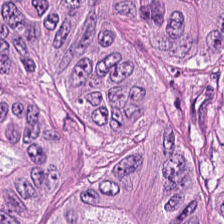H&E — The classification is colorectal adenocarcinoma epithelium.
